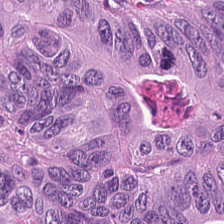Formalin-fixed paraffin-embedded section; hematoxylin-and-eosin stained section. Impression → malignant epithelium.
